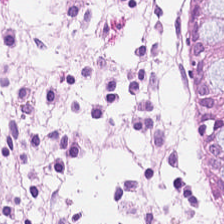Brightfield; 20× equivalent magnification; H&E.
Q: Classify this patch.
A: This is normal colon mucosa.
